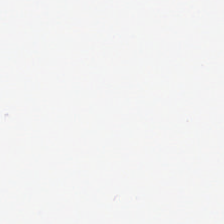Hematoxylin and eosin. No tissue present; background only.
